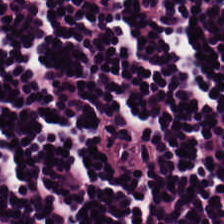H&E-stained tissue section. Impression — lymphocyte aggregate.
